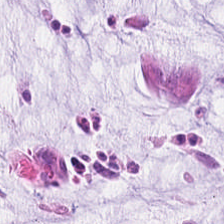Q: What is shown here?
A: Mucin.
